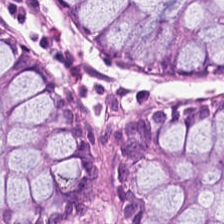224×224 px tile. H&E stain — The tissue here is non-neoplastic colon mucosa.
